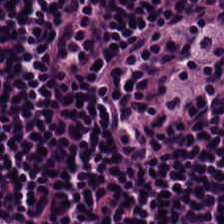20× equivalent magnification · H&E stain · whole-slide-image patch. The classification is lymphocyte aggregate.
